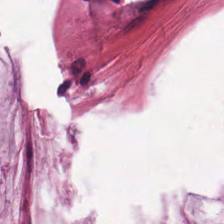H&E-stained tissue section; FFPE tissue section. Q: What is the predominant tissue type?
A: This is mucus.
